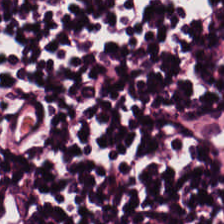H&E — The tissue here is lymphocytic infiltrate.
